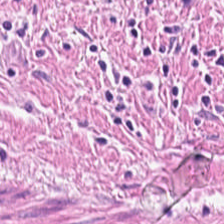Hematoxylin-and-eosin stained section. Whole-slide-image patch.
The predominant tissue is smooth muscle.
